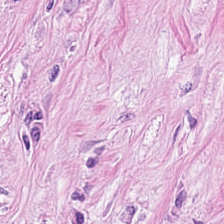H&E-stained tissue section — {"tissue_type": "tumor-associated stroma"}
